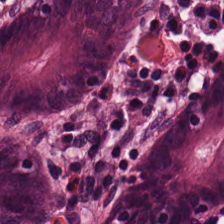H&E-stained tissue section.
Q: What tissue type is shown here?
A: The field shows normal colonic mucosa.
